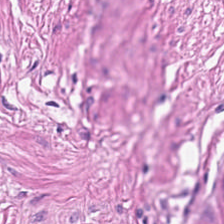224×224 px tile; hematoxylin and eosin — Showing smooth-muscle tissue.
